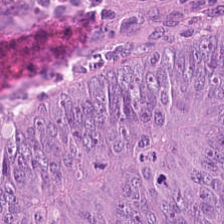224×224 px tile · hematoxylin-and-eosin stained section.
Colorectal adenocarcinoma epithelium.
